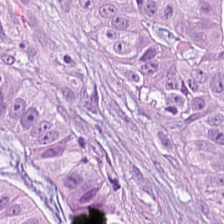Hematoxylin and eosin · WSI patch · 20× equivalent magnification — The predominant tissue is malignant epithelium.
